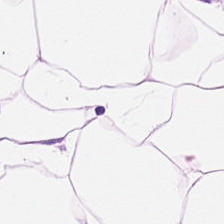0.5 µm per pixel · H&E stain. {"tissue_type": "adipocytes"}
